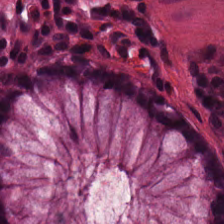H&E stain; FFPE; 0.5 microns per pixel.
The tissue here is normal colonic mucosa.
